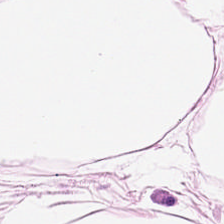This patch shows adipose tissue.
